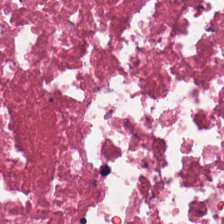H&E.
The tissue here is cellular debris.
